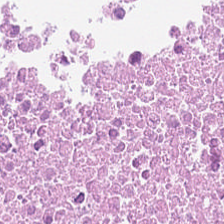H&E-stained tissue section.
The predominant tissue is necrotic debris.
